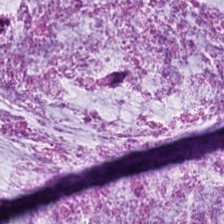H&E stain · FFPE tissue section. Finding — mucin.
